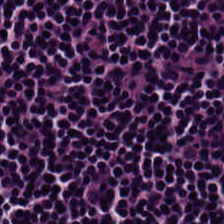Lymphocytic infiltrate.
